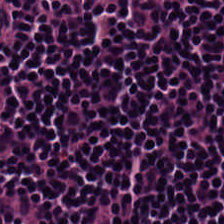H&E.
The tissue here is lymphocytes.
